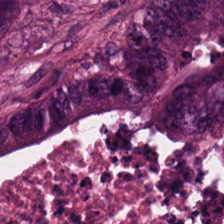H&E. Predominant tissue = colorectal adenocarcinoma.
